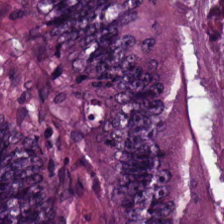Hematoxylin-and-eosin stained section — The tissue here is adenocarcinoma.
